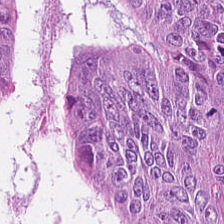Q: Identify the tissue.
A: Colorectal adenocarcinoma.
